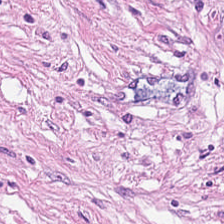Hematoxylin-and-eosin stained section.
Q: What is shown here?
A: Desmoplastic stroma.
